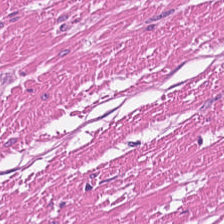224×224 px tile; hematoxylin-and-eosin stained section — This field is muscularis.
